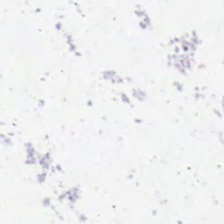H&E stain; WSI patch.
Impression — no tissue.
